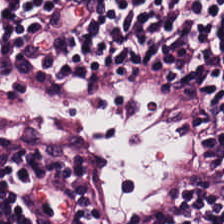Hematoxylin-and-eosin stained section. 20× equivalent magnification — The tissue type is lymphocyte aggregate.
